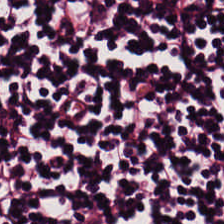H&E stain; 224×224 px tile — This field is lymphocyte aggregate.
